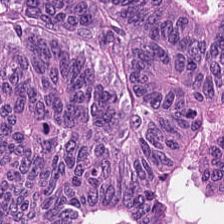H&E-stained tissue section. Predominant tissue: tumor epithelium.
